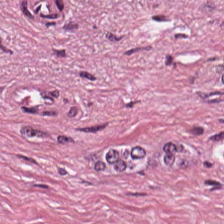FFPE tissue section; hematoxylin and eosin.
Showing cancer-associated stroma.
